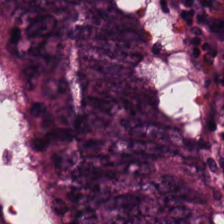Stain: hematoxylin-and-eosin stained section.
Acquisition: brightfield microscopy.
Resolution: 0.5 microns per pixel.
Tissue: colorectal adenocarcinoma epithelium.
